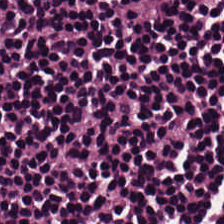Hematoxylin-and-eosin stained section · FFPE tissue section. {"tissue_type": "lymphocytes"}
